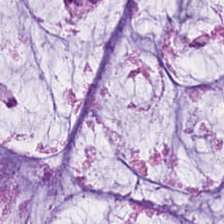H&E-stained tissue section · formalin-fixed paraffin-embedded section · WSI patch.
Predominantly extracellular mucin.
